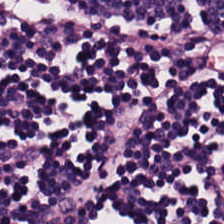FFPE · H&E stain.
Q: What tissue type is shown here?
A: Lymphocytic infiltrate.
